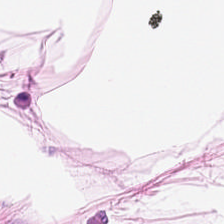Stain: hematoxylin and eosin.
Tissue class: fat tissue.
